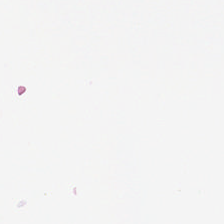H&E-stained tissue section. {"content": "background"}
